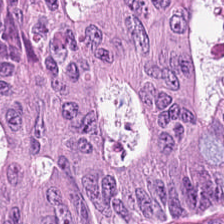H&E — Tissue = adenocarcinoma.
